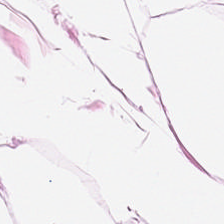H&E-stained tissue section. Q: What is the predominant tissue type?
A: The field shows adipocytes.
